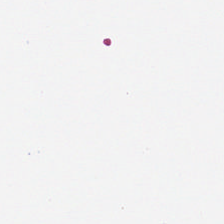H&E-stained tissue section. Empty field — background (no tissue).
